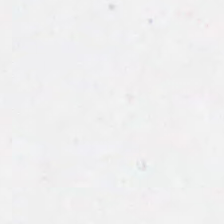Background.
